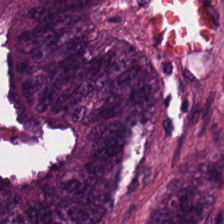0.5 microns per pixel · H&E-stained tissue section · FFPE tissue section.
Tissue type — adenocarcinoma.
